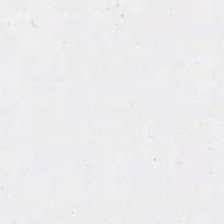Hematoxylin-and-eosin stained section. Field content = no tissue.
